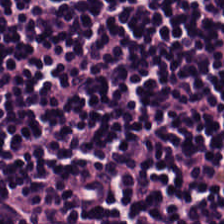H&E stain · 224×224 px patch. Impression — lymphocytes.
